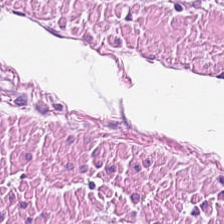Stain: H&E.
Tissue: smooth-muscle tissue.
